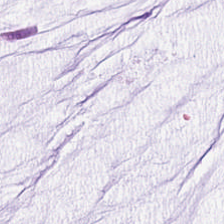Stain: H&E-stained tissue section.
Preparation: FFPE tissue section.
Tissue class: mucin.
